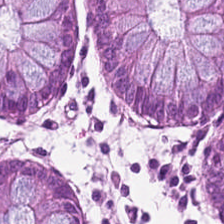Q: Classify this patch.
A: The field shows benign colonic mucosa.
